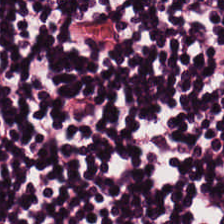H&E-stained tissue section. Q: What tissue is shown?
A: Lymphoid infiltrate.
